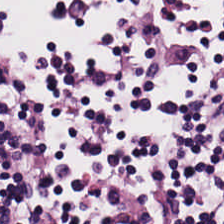Hematoxylin-and-eosin stained section. FFPE. Brightfield — The tissue here is lymphoid infiltrate.
